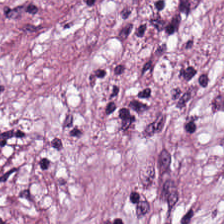H&E. Tissue class = tumor-associated stroma.
